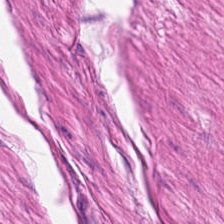H&E-stained tissue section · FFPE tissue section — Tissue = smooth muscle.
